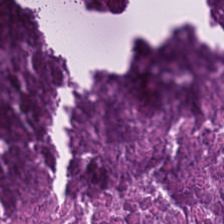Predominantly necrotic debris.
